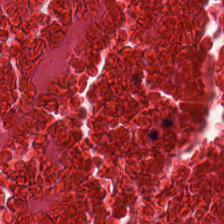224×224 pixel tile · hematoxylin-and-eosin stained section. Debris.
